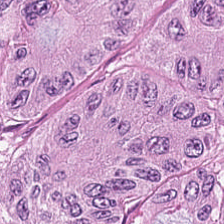H&E-stained tissue section. The predominant tissue is malignant epithelium.
